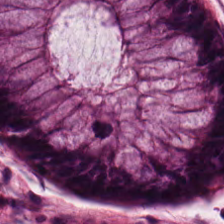H&E stain. Tissue class — benign colonic mucosa.
